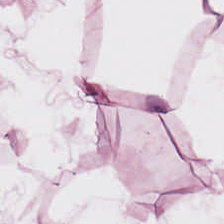This patch shows fat tissue.
